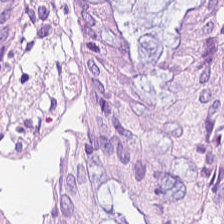H&E stain — The tissue here is non-neoplastic colon mucosa.
